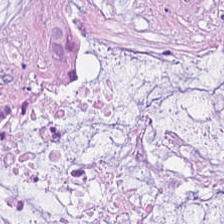H&E. Brightfield.
Tissue type: mucus.
